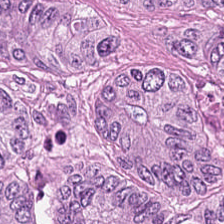Stain: H&E stain.
Resolution: 0.5 µm per pixel.
Predominant tissue: tumor epithelium.
